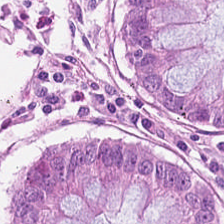H&E stain. This patch shows normal colonic mucosa.
